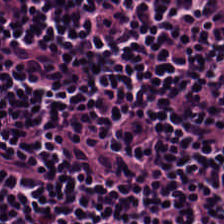H&E stain.
The classification is lymphocytes.
